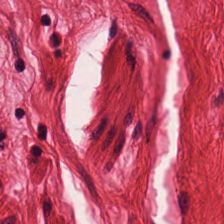0.5 microns per pixel · H&E stain — Q: What tissue is shown?
A: This is smooth-muscle tissue.
